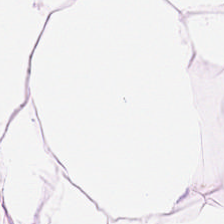Hematoxylin and eosin. Tissue: fat tissue.
